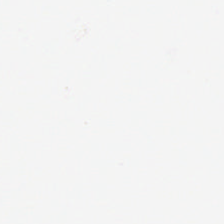Hematoxylin and eosin.
No tissue present; background only.
